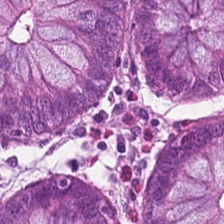Histology → non-neoplastic colon mucosa.
